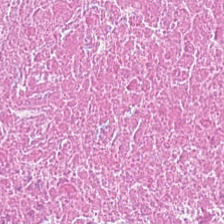0.5 µm/px; brightfield microscopy; H&E-stained tissue section.
Q: What tissue is shown?
A: Necrotic debris.
